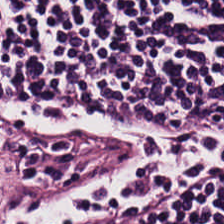Stain: hematoxylin and eosin.
Preparation: formalin-fixed paraffin-embedded section.
Acquisition: WSI patch.
Tissue: lymphocytic infiltrate.
